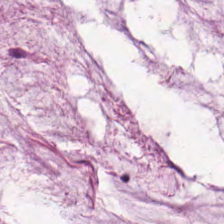H&E-stained tissue section. The classification is extracellular mucin.
